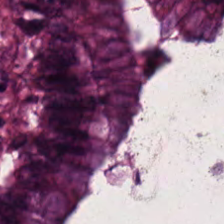H&E; brightfield microscopy — The tissue is non-neoplastic colon mucosa.
